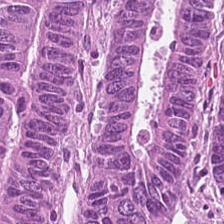H&E stain — The predominant tissue is malignant epithelium.
